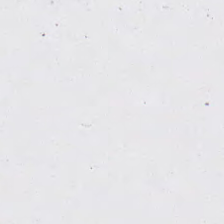Stain: H&E-stained tissue section.
Acquisition: brightfield microscopy.
Classification: background (no tissue).
